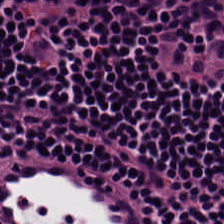The tissue here is lymphoid infiltrate.
